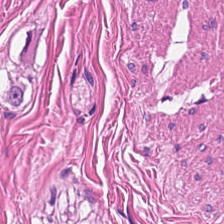Whole-slide-image patch. Hematoxylin-and-eosin stained section.
{"tissue_type": "smooth-muscle tissue"}
